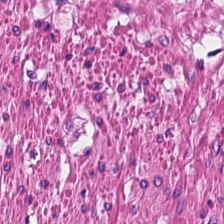0.5 µm/px · hematoxylin-and-eosin stained section — Smooth muscle.
